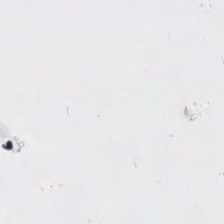Hematoxylin and eosin — {"content": "background (no tissue)"}
